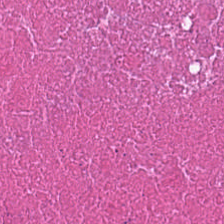The tissue type is cellular debris.
